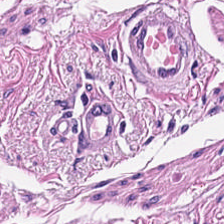H&E-stained tissue section.
Tissue — smooth-muscle tissue.
